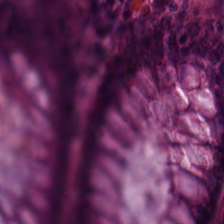Brightfield microscopy; 0.5 µm per pixel; H&E — Finding → non-neoplastic colon mucosa.
